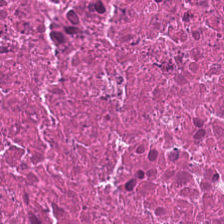H&E-stained tissue section.
Classification: necrotic debris.
